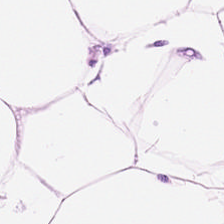H&E-stained tissue section. Tissue type = adipocytes.
